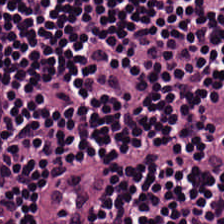Stain: hematoxylin and eosin.
Tissue class: lymphoid infiltrate.
